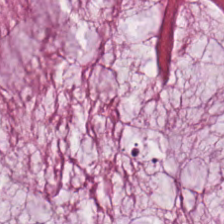Stain: hematoxylin and eosin.
Tissue type: extracellular mucin.
